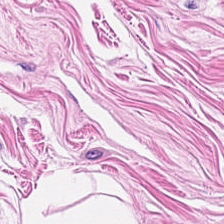H&E-stained tissue section. Q: What tissue type is shown here?
A: Smooth muscle.
